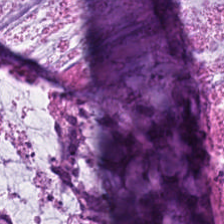H&E. Predominantly mucus.
